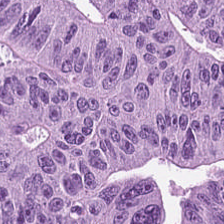FFPE tissue section. 0.5 microns per pixel. H&E stain. This patch shows malignant epithelium.
